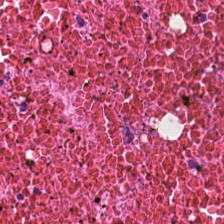WSI patch · hematoxylin and eosin — Finding — necrotic debris.
